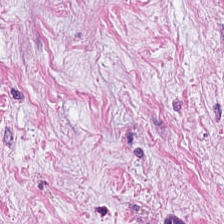Hematoxylin-and-eosin stained section — This patch shows tumor stroma.
